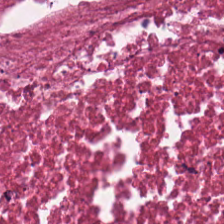Hematoxylin and eosin. 224×224 pixel tile — Predominantly necrotic debris.
